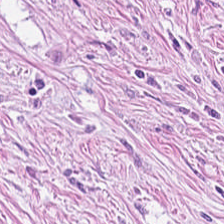H&E-stained tissue section · FFPE. The tissue here is desmoplastic stroma.
